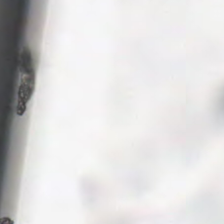Hematoxylin and eosin — Impression → background.
